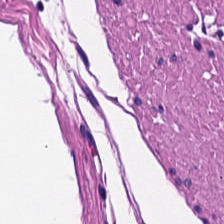Classification = smooth-muscle tissue.
